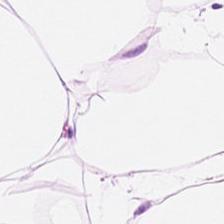H&E stain. 224×224 px tile. The tissue here is adipose.
